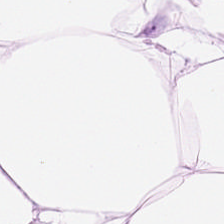H&E · 0.5 µm per pixel.
{"tissue_type": "adipose tissue"}
